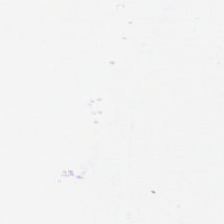H&E stain.
No tissue.
